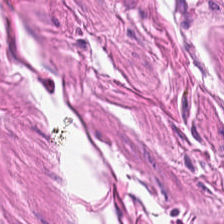Formalin-fixed paraffin-embedded section · H&E · WSI patch — Finding — smooth muscle.
